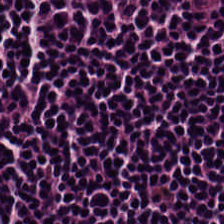Stain: H&E stain.
Acquisition: whole-slide-image patch.
Tissue class: lymphocytes.
